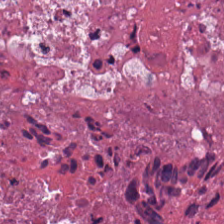Whole-slide-image patch. H&E-stained tissue section. Cellular debris.
